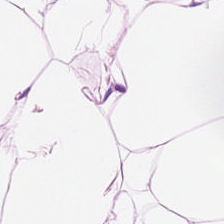H&E. Brightfield.
Classification = adipose tissue.
